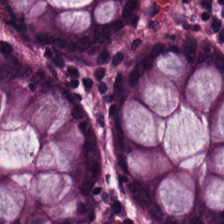Benign colonic mucosa.
